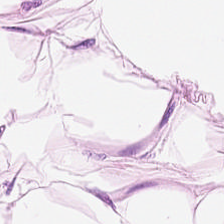Hematoxylin and eosin — Q: Identify the tissue.
A: This is adipocytes.
